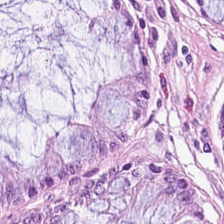Stain: hematoxylin and eosin.
Tile size: 224×224 px patch.
Classification: normal colon mucosa.
